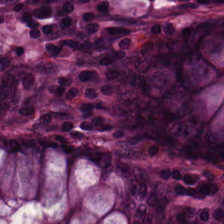Stain: H&E-stained tissue section.
Tissue class: benign colonic mucosa.
